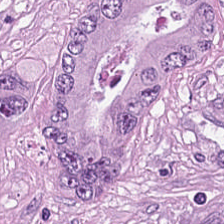0.5 µm/px · H&E-stained tissue section · FFPE. Q: What does this patch show?
A: It is colorectal adenocarcinoma epithelium.
